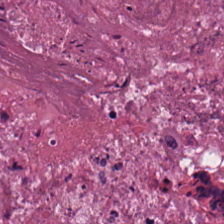Stain: H&E stain.
Classification: cellular debris.
